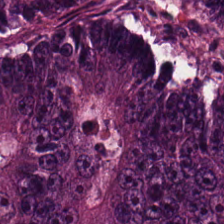Adenocarcinoma.
